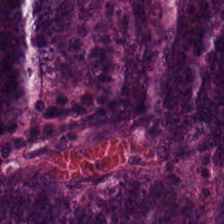Hematoxylin-and-eosin section: tumor epithelium.
